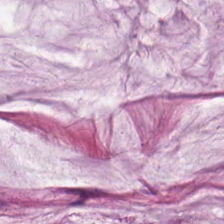Whole-slide-image patch. Hematoxylin-and-eosin stained section.
Tissue type = mucin.
